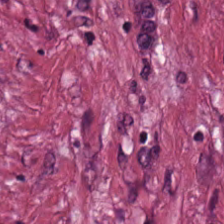Hematoxylin and eosin; FFPE tissue section; 224×224 px patch. Finding — tumor-associated stroma.
